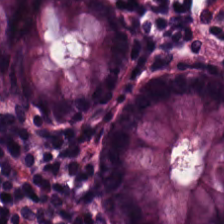This patch shows normal colonic mucosa.
